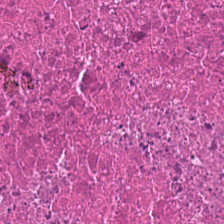H&E-stained tissue section.
Q: What tissue is shown?
A: The field shows cellular debris.
